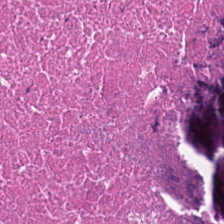Hematoxylin and eosin — Tissue: cellular debris.
